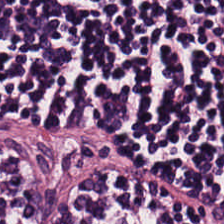H&E-stained tissue section — Q: What is shown here?
A: The field shows lymphoid infiltrate.
